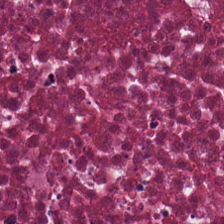Q: Classify this patch.
A: The field shows debris.
